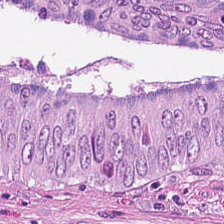Hematoxylin and eosin. The predominant tissue is colorectal adenocarcinoma epithelium.
